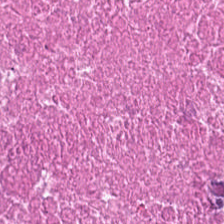Brightfield microscopy. H&E-stained tissue section — Q: What does this patch show?
A: It is debris.
